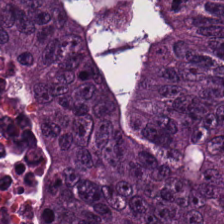Whole-slide-image patch; H&E. Tissue = malignant epithelium.
